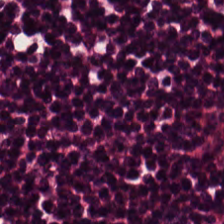Hematoxylin and eosin.
Classification: lymphocytic infiltrate.
